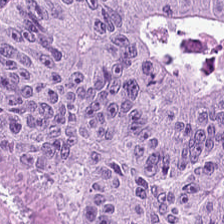FFPE tissue section · H&E · 0.5 µm per pixel — The predominant tissue is colorectal adenocarcinoma epithelium.
